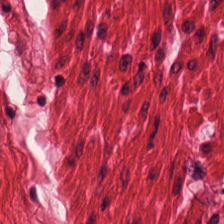{"tissue_type": "smooth-muscle tissue"}
